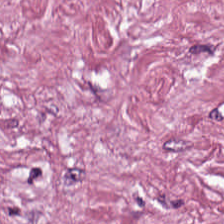H&E.
Q: What does this patch show?
A: The field shows tumor stroma.
